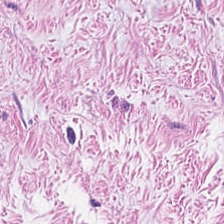Tissue class — smooth muscle.
